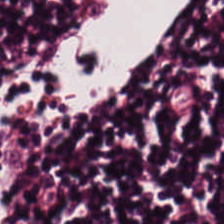Tissue class — lymphoid infiltrate.
